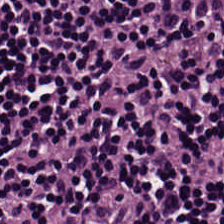Stain: H&E.
Tile size: 224×224 pixel tile.
Predominant tissue: lymphocytes.
